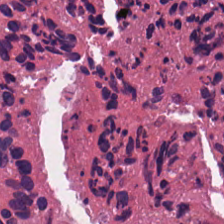Hematoxylin and eosin. This patch shows necrotic debris.
